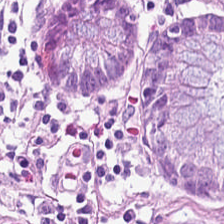H&E patch showing non-neoplastic colon mucosa.
